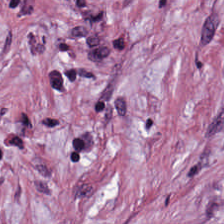Stain: H&E-stained tissue section.
Tissue class: desmoplastic stroma.
